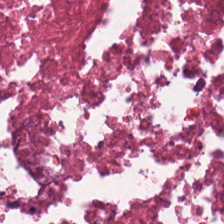Hematoxylin and eosin.
This field is cellular debris.
